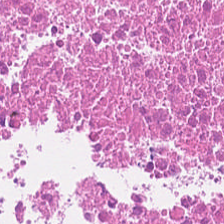H&E stain.
Q: What is shown in this field?
A: It is debris.
